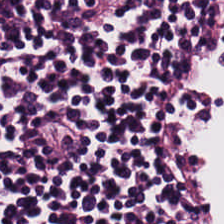Stain: hematoxylin-and-eosin stained section.
Predominant tissue: lymphocytic infiltrate.
